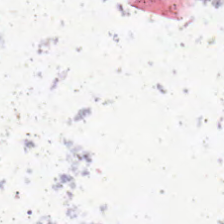Stain: H&E-stained tissue section.
Classification: background.
